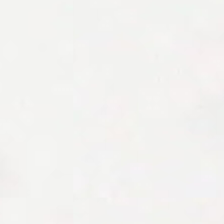Stain: H&E.
Classification: empty background.
